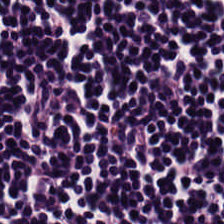H&E stain. Classification — lymphocytic infiltrate.
